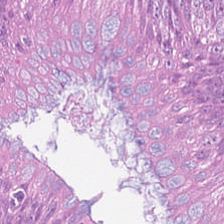Hematoxylin-and-eosin section: colorectal adenocarcinoma.
